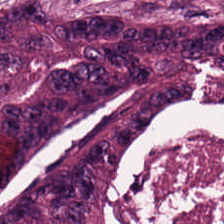Q: What does this patch show?
A: The field shows adenocarcinoma.
